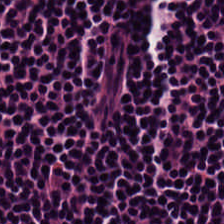Stain: H&E stain.
Tissue type: lymphocytes.
